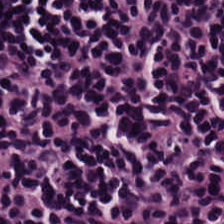Hematoxylin and eosin — {"tissue_type": "lymphoid infiltrate"}
